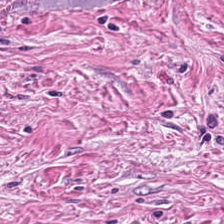Formalin-fixed paraffin-embedded section. Brightfield microscopy. H&E-stained tissue section.
Predominantly tumor-associated stroma.
